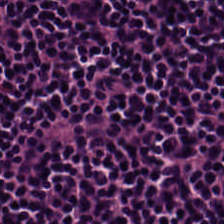H&E patch showing lymphocytic infiltrate.
